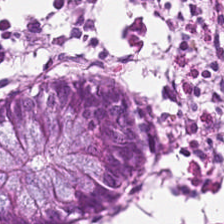Stain: hematoxylin-and-eosin stained section.
Tissue type: non-neoplastic colon mucosa.
